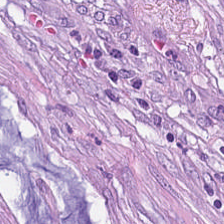Stain: H&E stain.
Classification: tumor-associated stroma.
